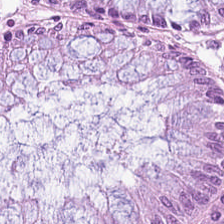Hematoxylin and eosin. Histology — normal colonic mucosa.
